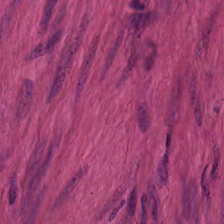Q: Identify the tissue.
A: This is smooth-muscle tissue.
